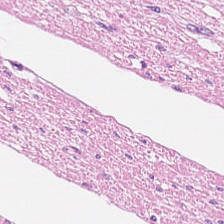20× equivalent magnification. H&E stain — The predominant tissue is muscularis.
